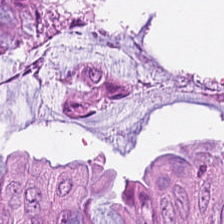Tissue class = colorectal adenocarcinoma.
